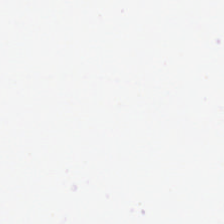The field content is background (no tissue).
